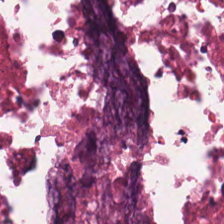0.5 µm/px · H&E. Q: What tissue is shown?
A: The field shows debris.
